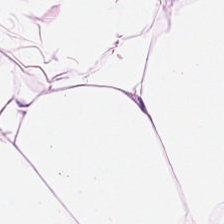Hematoxylin-and-eosin stained section.
Tissue: adipose.
